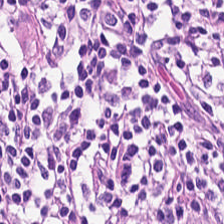H&E-stained tissue section. 224×224 pixel tile. FFPE.
Finding → lymphocyte aggregate.
